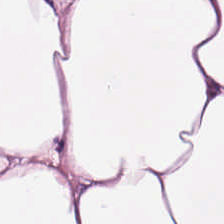H&E stain.
Predominant tissue = adipocytes.
